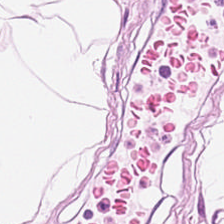Hematoxylin-and-eosin section: fat tissue.
